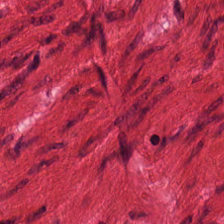H&E stain.
Tissue type: smooth muscle.
